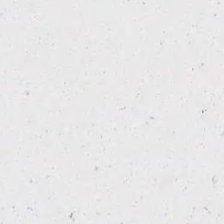FFPE; H&E. Q: What is shown here?
A: Empty background.
